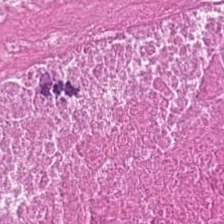The classification is cellular debris.
